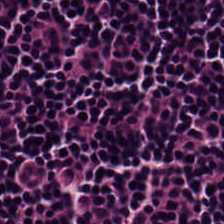Hematoxylin-and-eosin stained section. Finding — lymphocyte aggregate.
